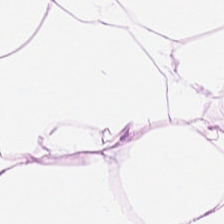Stain: H&E stain.
Tissue: adipose tissue.
